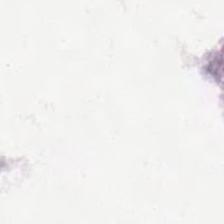Brightfield microscopy; FFPE tissue section; H&E stain. {"content": "background (no tissue)"}
